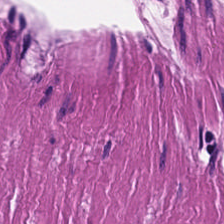Tissue class = smooth-muscle tissue.
